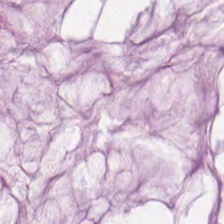224×224 px tile; hematoxylin and eosin.
{"tissue_type": "extracellular mucin"}
